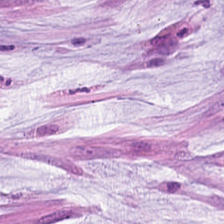FFPE tissue section · H&E-stained tissue section. This patch shows mucus.
